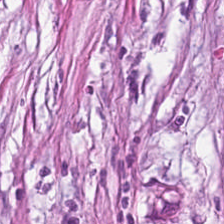Tissue class: desmoplastic stroma.
